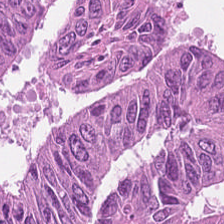Hematoxylin-and-eosin stained section; 0.5 microns per pixel. Q: What is shown in this field?
A: This is adenocarcinoma.
